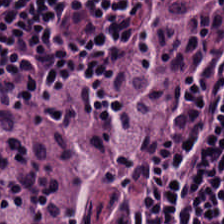Hematoxylin-and-eosin stained section. Predominantly lymphocytic infiltrate.
